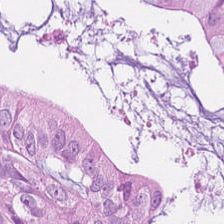Hematoxylin and eosin.
The predominant tissue is malignant epithelium.
